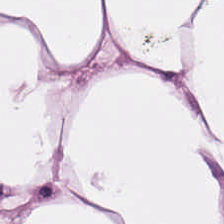Hematoxylin-and-eosin section: adipose.
